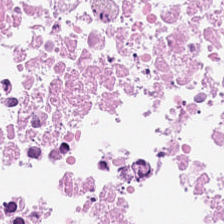FFPE tissue section; 224×224 px tile; hematoxylin and eosin. The predominant tissue is cellular debris.
